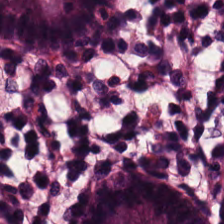Classification = normal colon mucosa.
